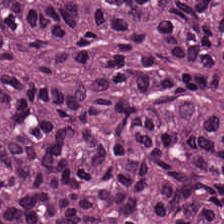H&E-stained tissue section — Q: What is the predominant tissue type?
A: This is colorectal adenocarcinoma epithelium.
